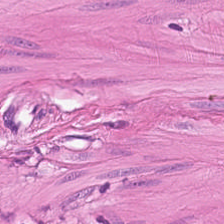H&E stain. The predominant tissue is muscularis.
